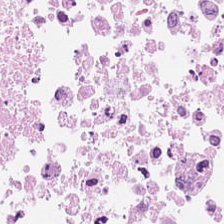Q: What tissue is shown?
A: The field shows necrotic debris.
